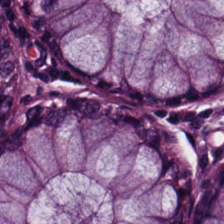H&E — Q: What does this patch show?
A: This is normal colon mucosa.
